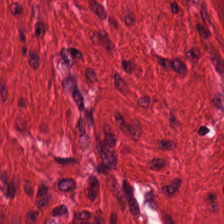Hematoxylin-and-eosin section: muscularis.
